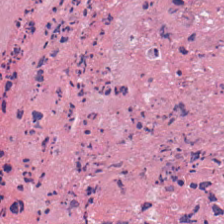Brightfield microscopy; hematoxylin-and-eosin stained section; 0.5 µm/px. Impression — cellular debris.
